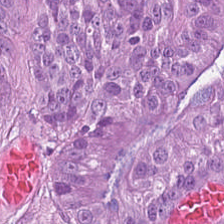Stain: H&E.
Preparation: FFPE.
Tissue type: malignant epithelium.
